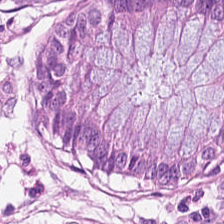{"tissue_type": "normal colonic mucosa"}
